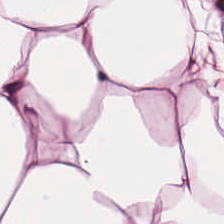Stain: H&E.
Tissue: fat tissue.
